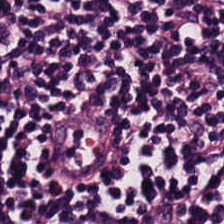H&E — The tissue class is lymphocyte aggregate.
